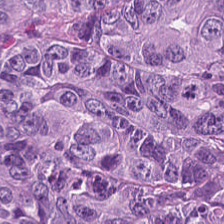H&E stain — Q: What tissue type is shown here?
A: The field shows tumor epithelium.
